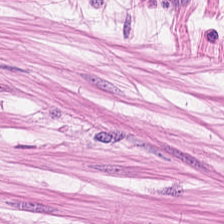Whole-slide-image patch · H&E stain.
Smooth-muscle tissue.
